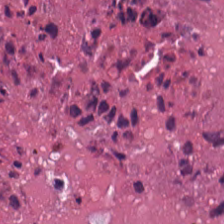Q: What does this patch show?
A: Debris.
